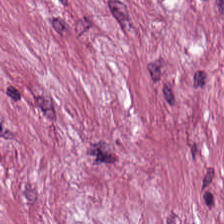H&E — Q: Classify this patch.
A: This is desmoplastic stroma.
